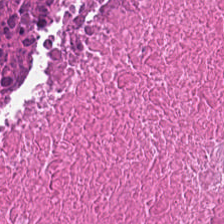H&E stain. Q: What is the predominant tissue type?
A: The field shows debris.
